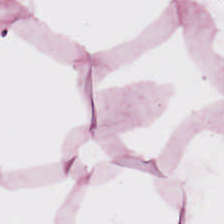Q: What is shown in this field?
A: The field shows adipose.
